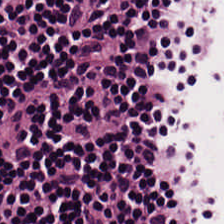The tissue class is lymphocytic infiltrate.
